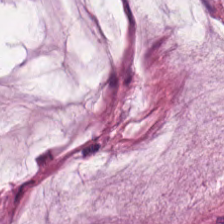Hematoxylin and eosin. Brightfield microscopy. 0.5 µm/px.
The predominant tissue is extracellular mucin.
